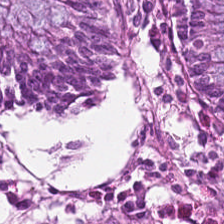Q: Identify the tissue.
A: Normal colonic mucosa.
